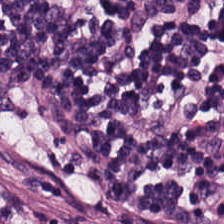Tissue type = lymphocytic infiltrate.
